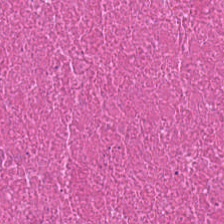Stain: H&E stain.
Predominant tissue: necrotic debris.
